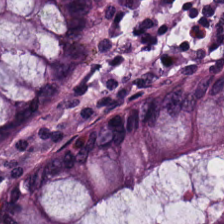Hematoxylin-and-eosin stained section — The tissue is benign colonic mucosa.
